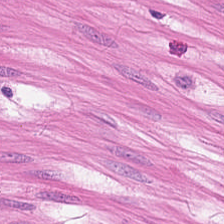H&E stain. Tissue: smooth-muscle tissue.
